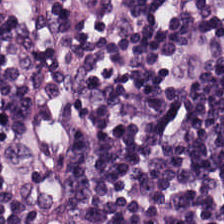The tissue class is lymphocyte aggregate.
